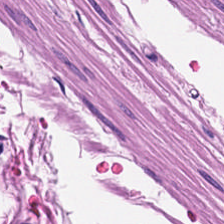H&E. Tissue class: smooth-muscle tissue.
